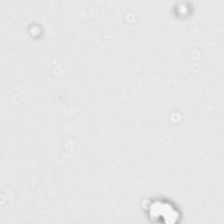Field content: background (no tissue).
